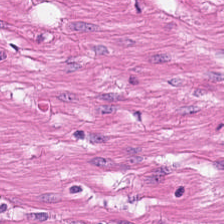20× equivalent magnification · H&E-stained tissue section. The tissue here is muscularis.
